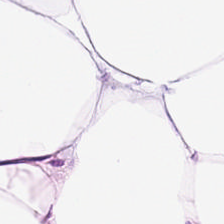H&E-stained tissue section — Predominantly adipose.
